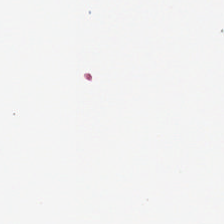Stain: H&E stain.
Field content: no tissue.
